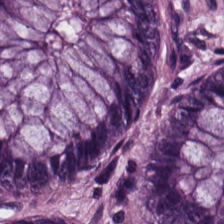Stain: H&E.
Resolution: 0.5 microns per pixel.
Classification: non-neoplastic colon mucosa.
